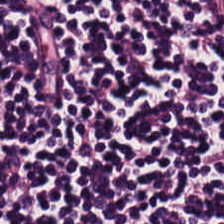Tissue: lymphocyte aggregate.
